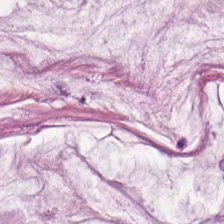FFPE tissue section · hematoxylin and eosin. This field is mucin.
